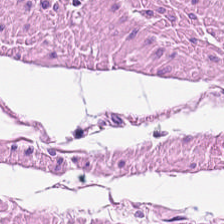Stain: hematoxylin and eosin.
Predominant tissue: muscularis.
